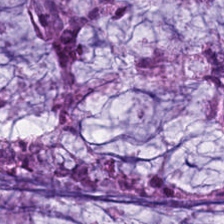Stain: H&E.
Tile size: 224×224 px tile.
Tissue type: extracellular mucin.
